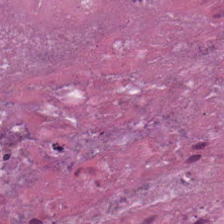Hematoxylin-and-eosin stained section — Q: What tissue is shown?
A: The field shows debris.
